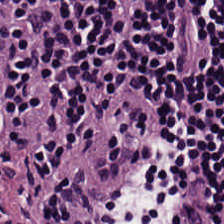Q: What is shown here?
A: This is lymphocyte aggregate.
